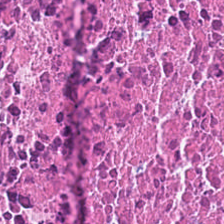H&E. FFPE tissue section — The tissue type is debris.
